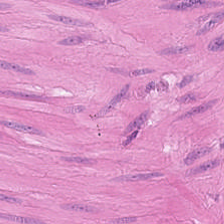H&E-stained tissue section — This field is muscularis.
